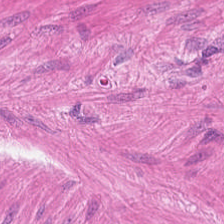FFPE tissue section. H&E. 224×224 pixel tile.
Showing smooth muscle.
